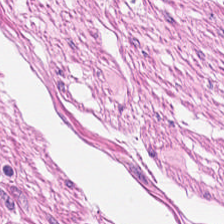H&E stain — Classification = smooth-muscle tissue.
